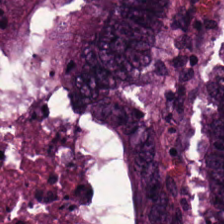{"tissue_type": "adenocarcinoma"}
